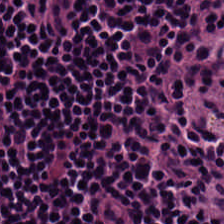The predominant tissue is lymphocytic infiltrate.
